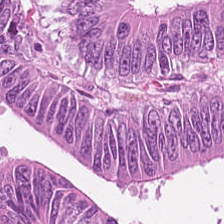224×224 px patch · H&E stain. This field is colorectal adenocarcinoma epithelium.
